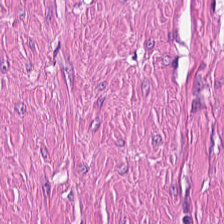H&E stain — Tissue — smooth-muscle tissue.
